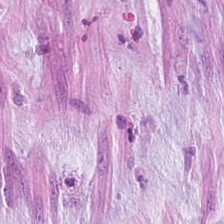H&E-stained tissue section.
Q: What does this patch show?
A: It is mucus.
